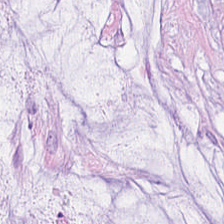0.5 µm per pixel · H&E. The classification is mucus.
